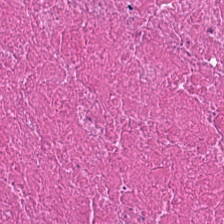Debris.
